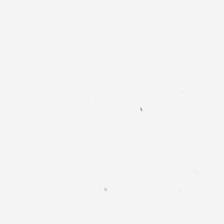Hematoxylin and eosin.
No tissue present; background only.
